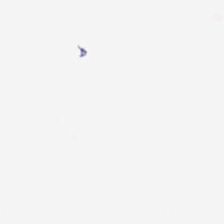224×224 px patch; H&E-stained tissue section.
Finding — empty background.
